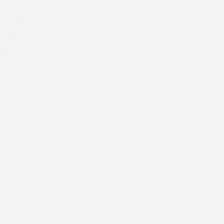Background — no tissue in this field.
